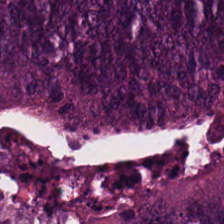Hematoxylin and eosin. Brightfield — Tissue type = adenocarcinoma.
